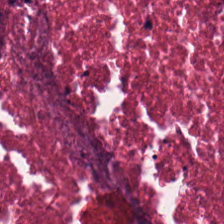H&E stain — Q: What is the predominant tissue type?
A: It is cellular debris.
